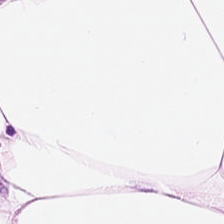The tissue class is adipocytes.
